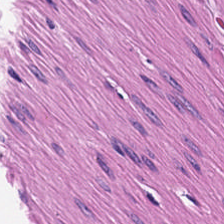FFPE. H&E. WSI patch. Predominantly smooth-muscle tissue.
